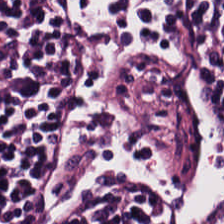Hematoxylin-and-eosin stained section.
{"tissue_type": "lymphoid infiltrate"}
